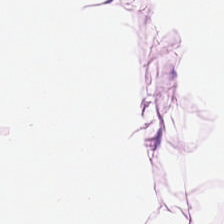Q: What does this patch show?
A: Adipose.
